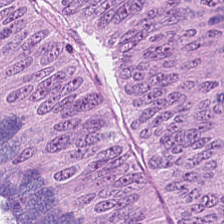FFPE tissue section. Hematoxylin-and-eosin stained section. 0.5 µm per pixel.
{"tissue_type": "adenocarcinoma"}
